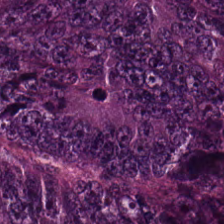H&E-stained tissue section. FFPE tissue section. 224×224 px patch — Colorectal adenocarcinoma.
